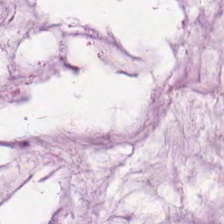H&E — mucus.
